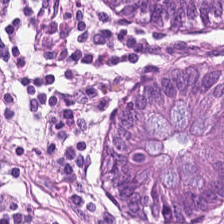H&E stain — This field is normal colonic mucosa.
